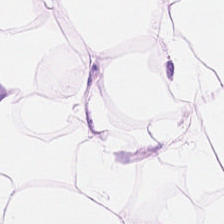H&E-stained tissue section.
Classification = adipose.
